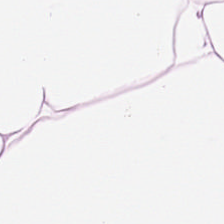Stain: hematoxylin-and-eosin stained section.
Tissue class: fat tissue.
